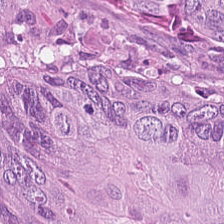Stain: hematoxylin-and-eosin stained section.
Tissue class: colorectal adenocarcinoma.
